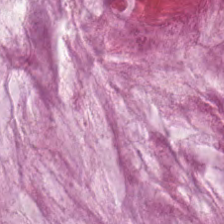224×224 pixel tile. H&E-stained tissue section — The predominant tissue is mucus.
